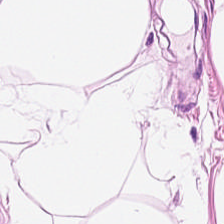Stain: H&E-stained tissue section.
Resolution: 0.5 microns per pixel.
Acquisition: WSI patch.
Tissue class: adipose tissue.
